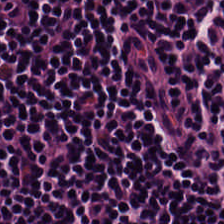Formalin-fixed paraffin-embedded section · H&E stain · 0.5 microns per pixel — {"tissue_type": "lymphocyte aggregate"}
